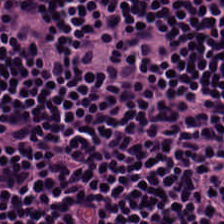Stain: hematoxylin and eosin.
Resolution: 0.5 µm per pixel.
Tissue type: lymphocytes.
